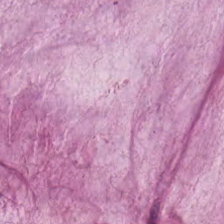Stain: hematoxylin-and-eosin stained section.
Predominant tissue: mucin.
